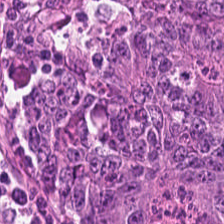Stain: hematoxylin-and-eosin stained section.
Tissue: colorectal adenocarcinoma.
